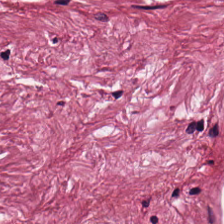This patch shows tumor stroma.
